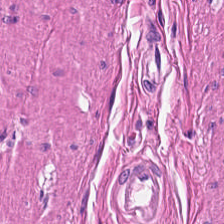224×224 px tile. FFPE tissue section. H&E.
Muscularis.
